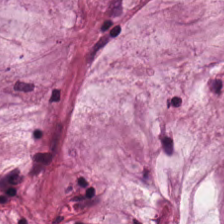{"tissue_type": "mucin"}
